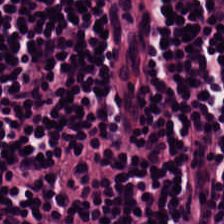Brightfield; H&E; 224×224 pixel tile. {"tissue_type": "lymphocytes"}
